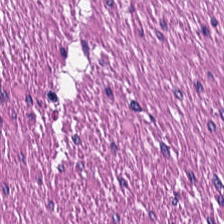0.5 µm per pixel. H&E. This patch shows smooth-muscle tissue.
